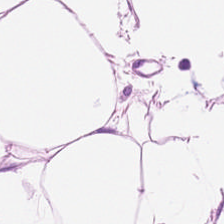0.5 µm/px. H&E.
Fat tissue.
